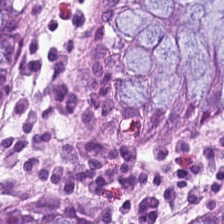Showing normal colon mucosa.
